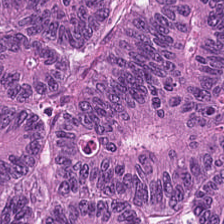H&E stain.
Tissue type — tumor epithelium.
